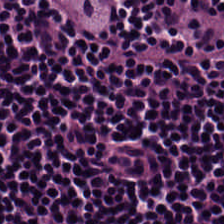Lymphocytic infiltrate.
